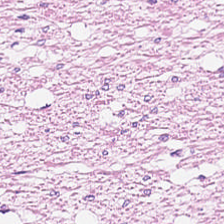0.5 µm/px. Hematoxylin-and-eosin stained section — Muscularis.
